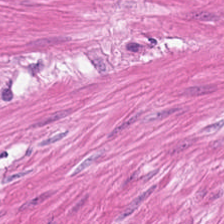Stain: H&E-stained tissue section.
Classification: smooth muscle.
